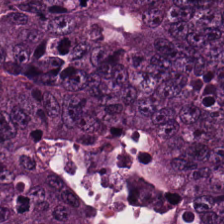H&E — tumor epithelium.
